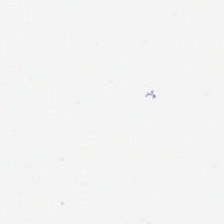This field is background (no tissue).
